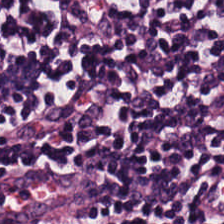H&E stain; 224×224 px tile.
Predominantly lymphocytic infiltrate.
